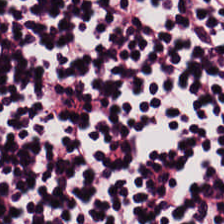Hematoxylin and eosin. {"tissue_type": "lymphocytic infiltrate"}
